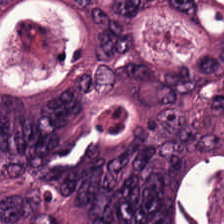Tissue class — colorectal adenocarcinoma epithelium.
